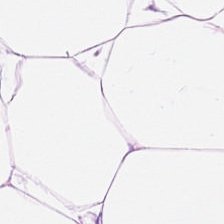Hematoxylin-and-eosin stained section. Tissue class — adipose tissue.
